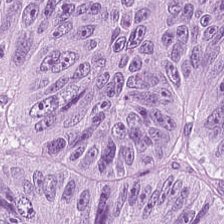H&E-stained tissue section; brightfield microscopy. Tissue type = colorectal adenocarcinoma epithelium.
